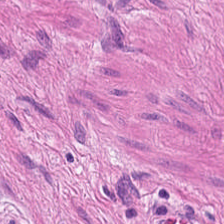H&E stain — Smooth-muscle tissue.
